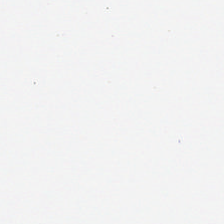H&E stain.
This field is background (no tissue).
